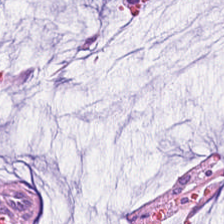H&E · brightfield microscopy · 20× equivalent magnification. Q: Identify the tissue.
A: Mucin.
